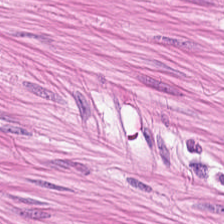Hematoxylin-and-eosin section: muscularis.
